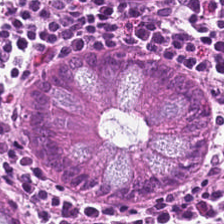Classification = normal colonic mucosa.
